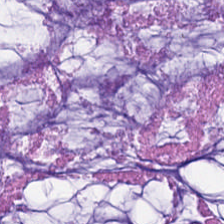Hematoxylin-and-eosin stained section; 0.5 microns per pixel. Q: What is shown in this field?
A: Mucin.
